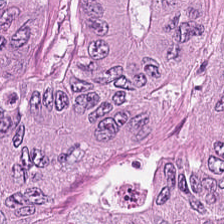Stain: hematoxylin and eosin.
Tissue: colorectal adenocarcinoma epithelium.
